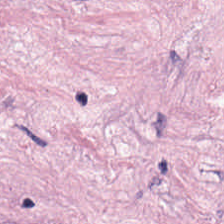H&E. The tissue here is tumor-associated stroma.
